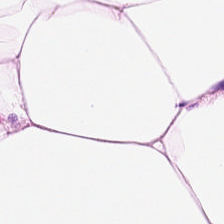0.5 microns per pixel · formalin-fixed paraffin-embedded section · H&E-stained tissue section — Predominantly fat tissue.
